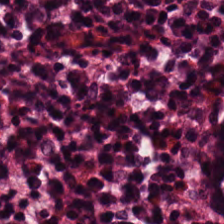H&E-stained tissue section · 0.5 µm/px.
Impression — normal colonic mucosa.
